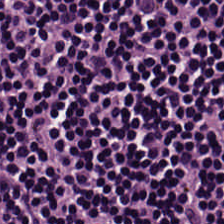Hematoxylin and eosin. Q: Identify the tissue.
A: It is lymphoid infiltrate.
